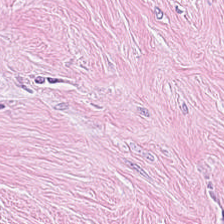Cancer-associated stroma.
